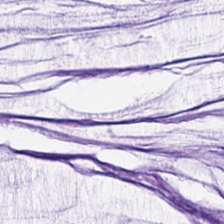Formalin-fixed paraffin-embedded section · hematoxylin-and-eosin stained section · 224×224 pixel tile. Q: Identify the tissue.
A: This is mucus.
